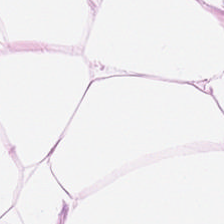FFPE; H&E stain. Q: What is shown here?
A: The field shows fat tissue.
